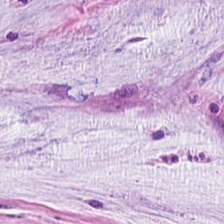Hematoxylin and eosin — The predominant tissue is mucus.
